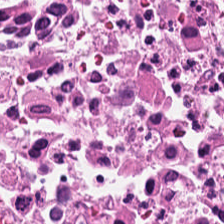Stain: H&E.
Tissue: cellular debris.
